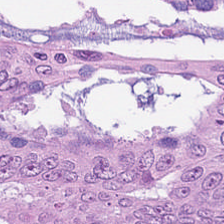0.5 microns per pixel · hematoxylin and eosin.
This field is tumor epithelium.
